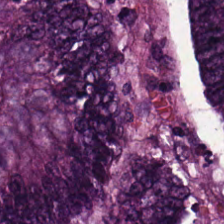Hematoxylin-and-eosin stained section. This patch shows colorectal adenocarcinoma epithelium.
